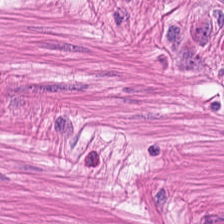0.5 µm/px. Hematoxylin-and-eosin stained section — The predominant tissue is smooth muscle.
